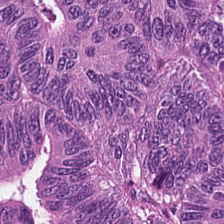H&E-stained tissue section · 0.5 microns per pixel · 224×224 pixel tile.
Q: What tissue type is shown here?
A: This is tumor epithelium.
